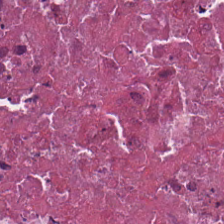Tissue class = debris.
